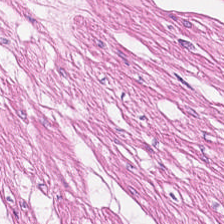Tissue — muscularis.
